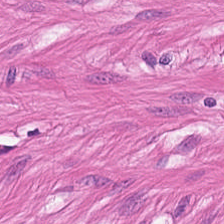FFPE. 224×224 pixel tile. H&E.
Classification = smooth-muscle tissue.
